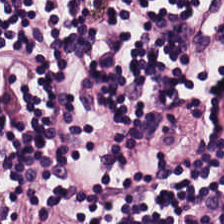224×224 px tile · hematoxylin and eosin · 0.5 µm per pixel.
The predominant tissue is lymphoid infiltrate.
